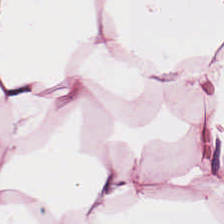224×224 px patch · hematoxylin and eosin. Q: What is the predominant tissue type?
A: It is adipose tissue.
